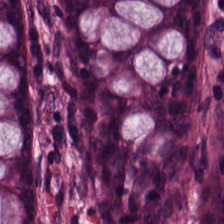H&E stain — Tissue type = normal colonic mucosa.
